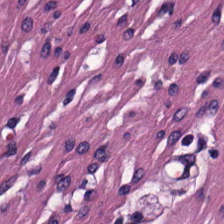Hematoxylin-and-eosin stained section.
Showing smooth-muscle tissue.
